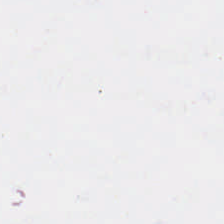No tissue present; background only.
